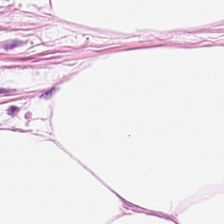Formalin-fixed paraffin-embedded section. H&E.
Q: What does this patch show?
A: The field shows fat tissue.
